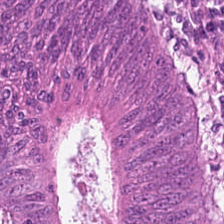Finding — adenocarcinoma.
